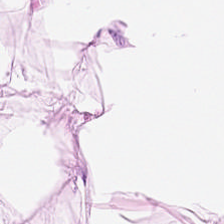Hematoxylin and eosin; brightfield microscopy. Impression → adipose tissue.
